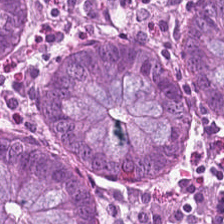FFPE · H&E stain.
Showing benign colonic mucosa.
